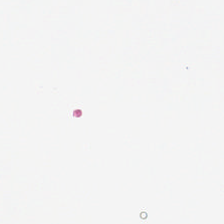FFPE · hematoxylin-and-eosin stained section — The content is background (no tissue).
